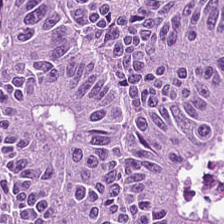{"tissue_type": "colorectal adenocarcinoma"}
